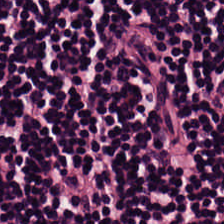224×224 px tile · brightfield microscopy · hematoxylin and eosin. Finding — lymphocytic infiltrate.
